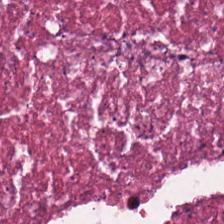H&E · FFPE tissue section · 224×224 pixel tile. Finding — necrotic debris.
